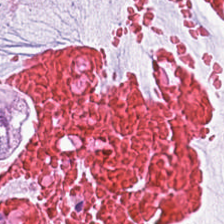Extracellular mucin.
